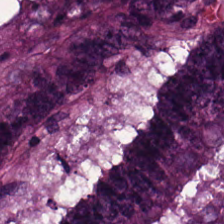H&E-stained tissue section showing adenocarcinoma.
